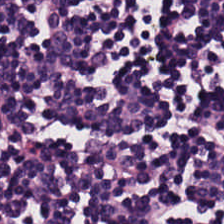FFPE tissue section; hematoxylin and eosin — Tissue class — lymphocyte aggregate.
